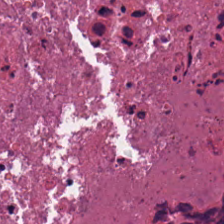0.5 microns per pixel; hematoxylin and eosin.
The predominant tissue is cellular debris.
